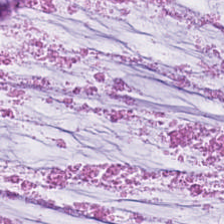Hematoxylin-and-eosin stained section. 224×224 pixel tile — Tissue type — mucin.
